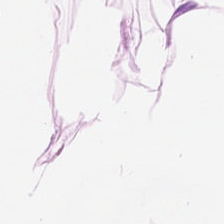H&E stain.
Showing adipocytes.
